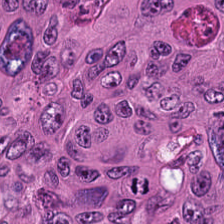Hematoxylin and eosin. Q: What type of tissue is this?
A: This is tumor epithelium.
